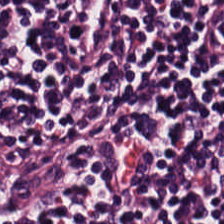H&E. The tissue class is lymphoid infiltrate.
